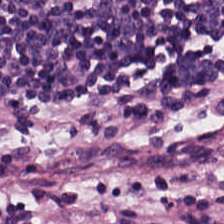Hematoxylin-and-eosin section: lymphoid infiltrate.
